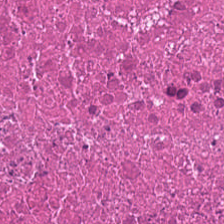224×224 px patch; H&E.
Finding — necrotic debris.
